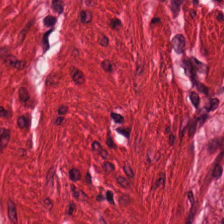H&E.
Showing smooth-muscle tissue.
